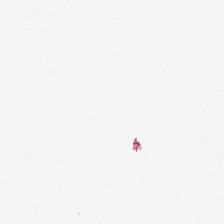This field is background (no tissue).
